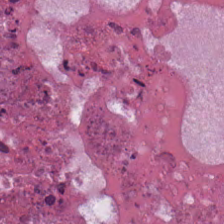H&E-stained tissue section. {"tissue_type": "debris"}
